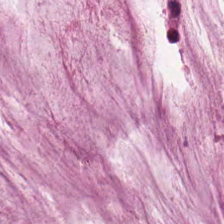H&E-stained tissue section — Showing mucus.
